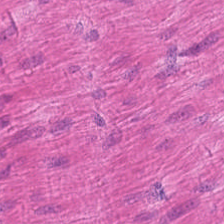Hematoxylin-and-eosin stained section. The tissue is smooth-muscle tissue.
